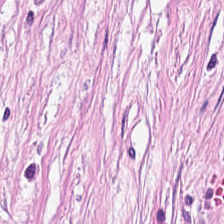0.5 µm/px; H&E; formalin-fixed paraffin-embedded section.
This field is cancer-associated stroma.
